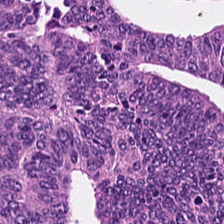H&E. Q: What tissue type is shown here?
A: It is colorectal adenocarcinoma.
